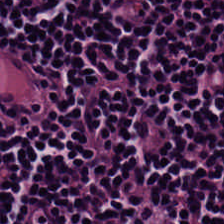H&E — Predominant tissue — lymphoid infiltrate.
